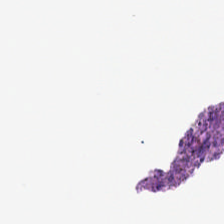Whole-slide-image patch. H&E-stained tissue section. Classification = background (no tissue).
